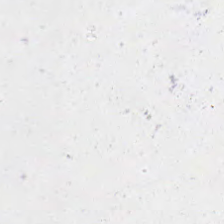H&E stain. 0.5 µm per pixel — This patch shows background (no tissue).
